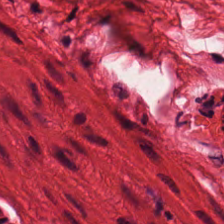H&E stain — This field is smooth muscle.
